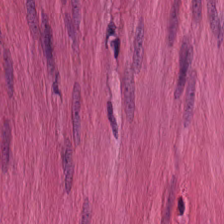20× equivalent magnification · 224×224 px tile · hematoxylin and eosin — Q: What tissue is shown?
A: Smooth muscle.
